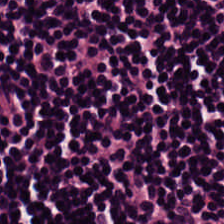The classification is lymphoid infiltrate.
